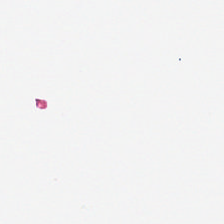H&E-stained tissue section.
Q: What does this patch show?
A: This is background (no tissue).
